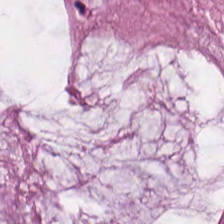Q: What does this patch show?
A: Mucin.
